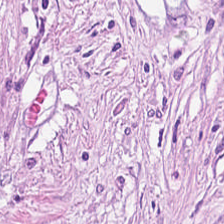H&E stain — Tissue class = tumor-associated stroma.
